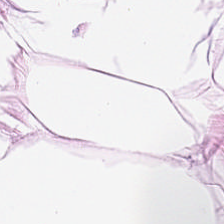H&E-stained section; the field shows adipose.
